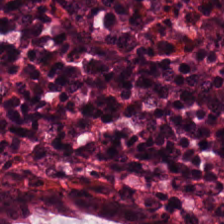Hematoxylin and eosin.
Predominant tissue: normal colon mucosa.
